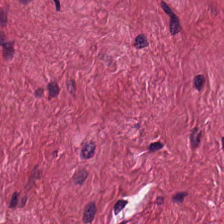Histology — desmoplastic stroma.
